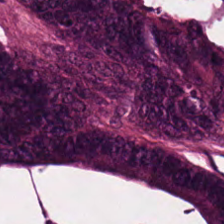H&E-stained tissue section · FFPE tissue section.
This patch shows colorectal adenocarcinoma.
